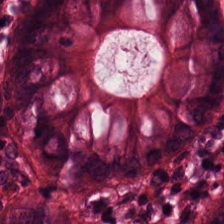The tissue class is normal colonic mucosa.
